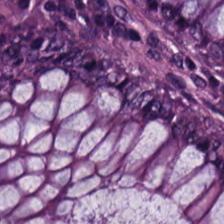Brightfield microscopy. Hematoxylin and eosin — Finding — benign colonic mucosa.
